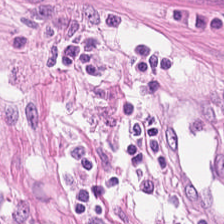Stain: H&E.
Tissue type: smooth-muscle tissue.
